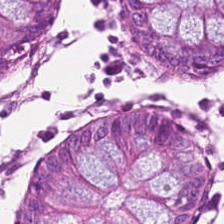H&E-stained tissue section. Q: What is the predominant tissue type?
A: This is normal colon mucosa.
